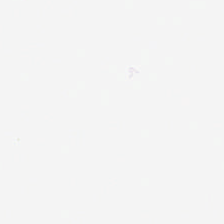H&E-stained tissue section.
This patch shows no tissue.
